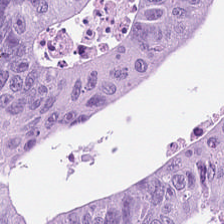H&E-stained tissue section.
This field is colorectal adenocarcinoma.
